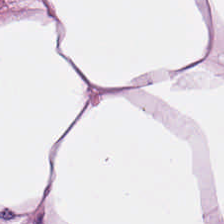Hematoxylin and eosin.
This field is adipose.
